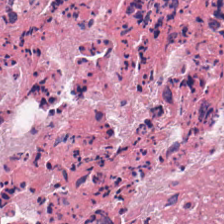Hematoxylin and eosin. Q: What tissue type is shown here?
A: The field shows cellular debris.
